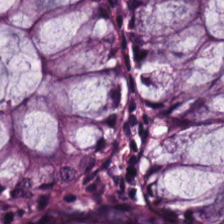Hematoxylin-and-eosin section: normal colonic mucosa.
